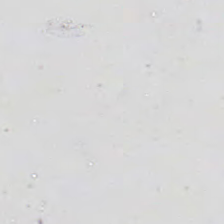H&E stain · 224×224 px tile — Field content: background (no tissue).
